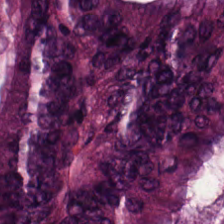0.5 µm per pixel · H&E-stained tissue section — Predominantly colorectal adenocarcinoma.
